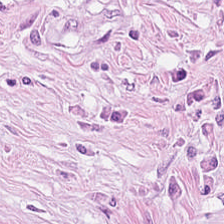H&E stain — The tissue here is tumor stroma.
